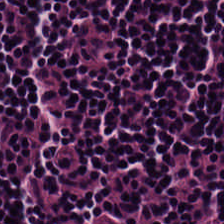H&E-stained tissue section; 224×224 pixel tile; 0.5 µm/px. The tissue here is lymphocytes.
